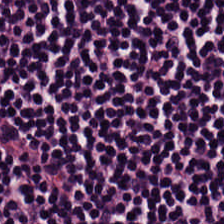Q: Classify this patch.
A: This is lymphocyte aggregate.
